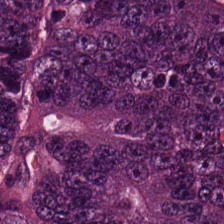Hematoxylin-and-eosin stained section — Showing malignant epithelium.
